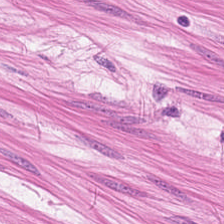This patch shows muscularis.
